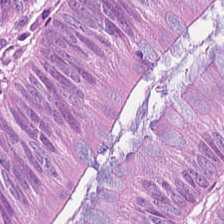Tissue class = malignant epithelium.
